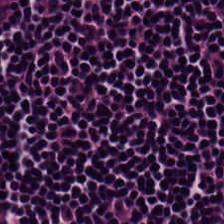Stain: hematoxylin-and-eosin stained section.
Tissue class: lymphoid infiltrate.
